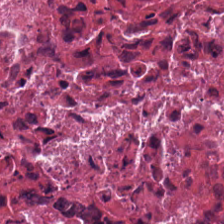Hematoxylin and eosin. Q: Classify this patch.
A: It is necrotic debris.
